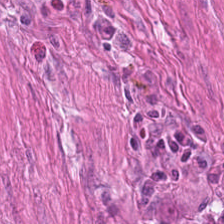H&E-stained tissue section; 224×224 px patch.
This field is smooth-muscle tissue.
